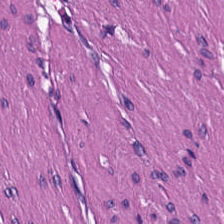Hematoxylin-and-eosin stained section · 224×224 pixel tile · FFPE tissue section.
The predominant tissue is smooth-muscle tissue.
